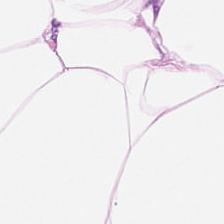H&E.
{"tissue_type": "fat tissue"}
